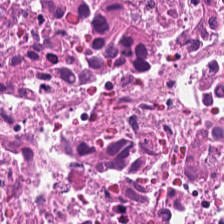FFPE tissue section. H&E-stained tissue section.
Predominantly debris.
